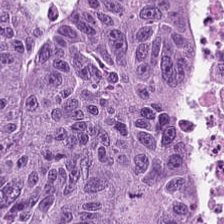The predominant tissue is adenocarcinoma.
